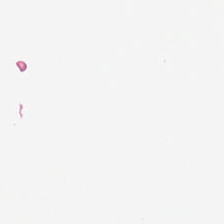H&E stain.
This field is background (no tissue).
